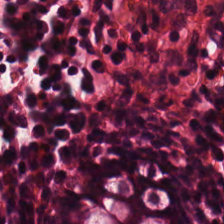Stain: hematoxylin-and-eosin stained section.
Tissue: non-neoplastic colon mucosa.
